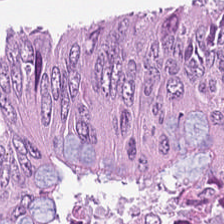H&E-stained tissue section.
Finding — malignant epithelium.
